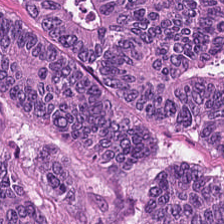H&E.
Predominantly colorectal adenocarcinoma.
